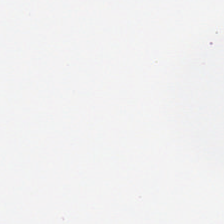Hematoxylin-and-eosin stained section — Classification = empty background.
